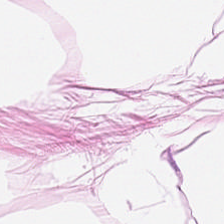Hematoxylin-and-eosin stained section. Showing adipocytes.
